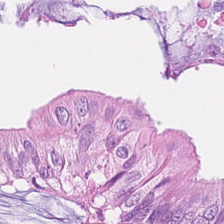H&E stain. The predominant tissue is adenocarcinoma.
